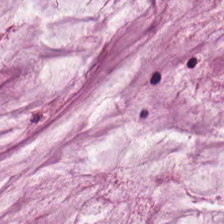0.5 µm/px; H&E. {"tissue_type": "mucus"}
